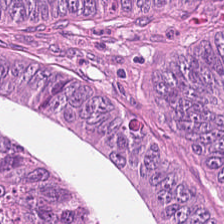H&E patch showing malignant epithelium.
